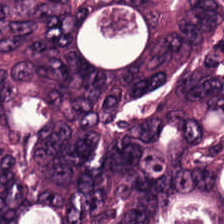Whole-slide-image patch · H&E-stained tissue section.
Tissue — tumor epithelium.
